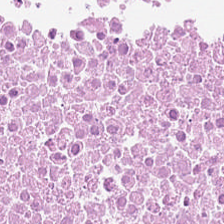Stain: hematoxylin and eosin.
Classification: debris.
